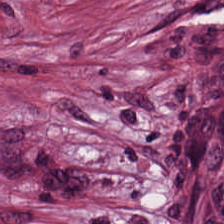Stain: hematoxylin and eosin.
Tissue class: tumor-associated stroma.
